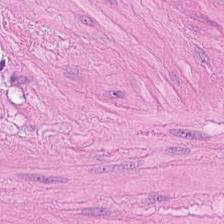H&E-stained tissue section — The predominant tissue is muscularis.
